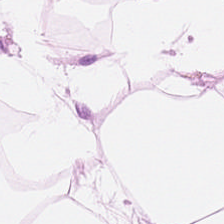Stain: H&E.
Tissue class: fat tissue.
